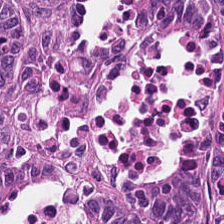0.5 microns per pixel · H&E stain — The tissue here is malignant epithelium.
